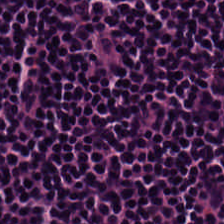Stain: H&E-stained tissue section.
Tissue type: lymphocytes.
